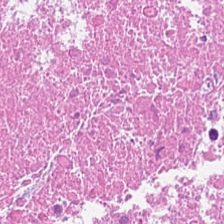Brightfield. 0.5 µm per pixel. H&E stain — The tissue is necrotic debris.
